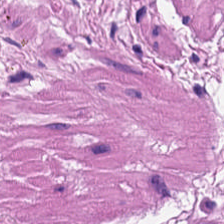Q: What is the predominant tissue type?
A: The field shows muscularis.
